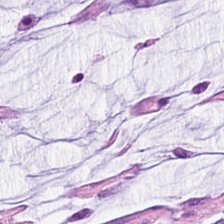H&E — The tissue here is mucus.
